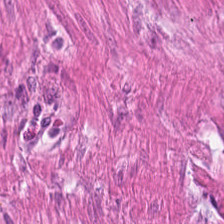Hematoxylin-and-eosin stained section — Smooth-muscle tissue.
